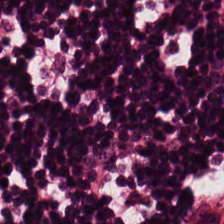Stain: hematoxylin and eosin.
Acquisition: brightfield microscopy.
Resolution: 20× equivalent magnification.
Predominant tissue: lymphoid infiltrate.
